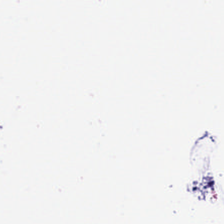H&E stain — Field content — no tissue.
